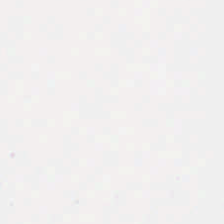Stain: H&E-stained tissue section.
Field content: empty background.
